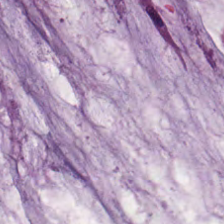H&E-stained tissue section showing mucin.
